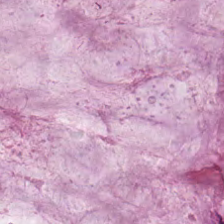H&E-stained tissue section. The tissue class is extracellular mucin.
